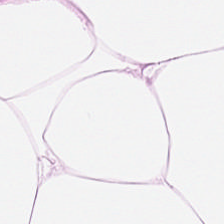Hematoxylin and eosin. Brightfield — Adipose.
